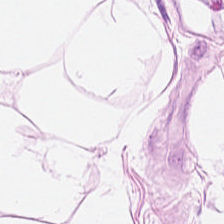H&E · formalin-fixed paraffin-embedded section · brightfield microscopy.
Tissue class: fat tissue.
